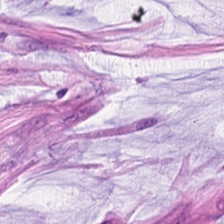Tissue — mucin.
